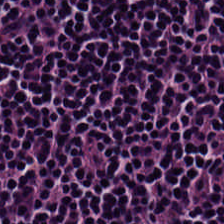The tissue here is lymphocytes.
